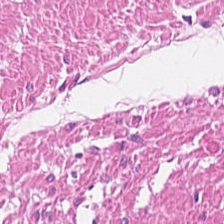H&E patch showing smooth muscle.
